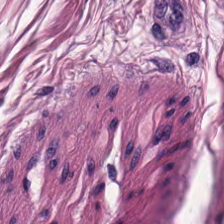Whole-slide-image patch · 224×224 px patch · H&E. The predominant tissue is muscularis.
